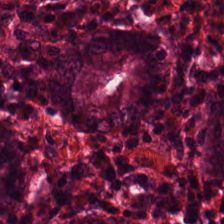Hematoxylin and eosin — Normal colonic mucosa.
